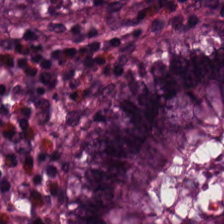Formalin-fixed paraffin-embedded section · 224×224 px tile · H&E-stained tissue section — The predominant tissue is non-neoplastic colon mucosa.
